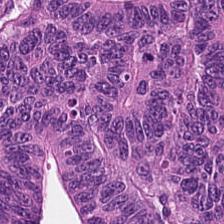Impression — adenocarcinoma.
